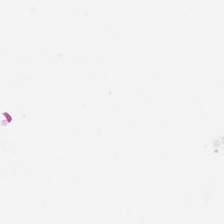H&E stain. Background — no tissue in this field.
